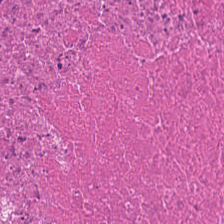224×224 pixel tile. Whole-slide-image patch. Hematoxylin-and-eosin stained section. {"tissue_type": "debris"}
